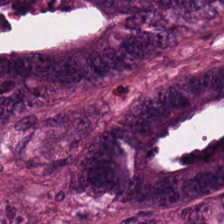0.5 µm/px. WSI patch. H&E. Q: What tissue type is shown here?
A: The field shows colorectal adenocarcinoma.
